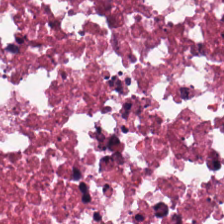Tissue type = debris.
